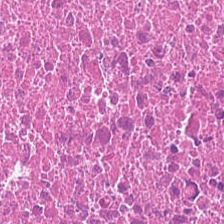Histology → debris.
